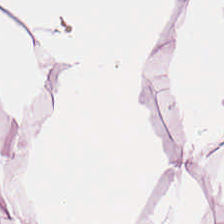Hematoxylin-and-eosin stained section. Formalin-fixed paraffin-embedded section. 0.5 µm/px. This field is adipocytes.
